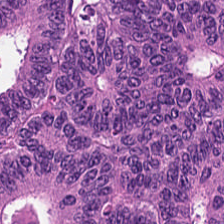FFPE tissue section; H&E stain. Q: What tissue is shown?
A: Malignant epithelium.
